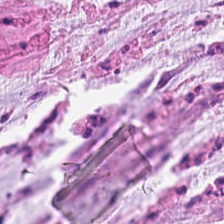Hematoxylin and eosin.
Finding — mucus.
